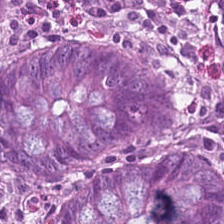Stain: H&E stain.
Classification: normal colonic mucosa.
